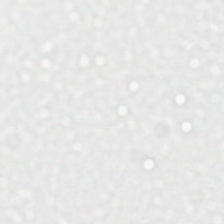Hematoxylin and eosin. FFPE tissue section. {"content": "background"}
